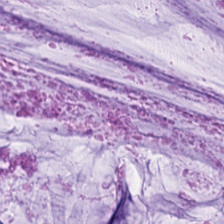Hematoxylin-and-eosin stained section; brightfield. Tissue class — mucus.
